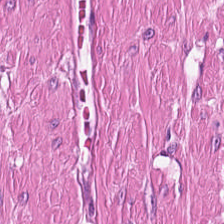Hematoxylin-and-eosin section: muscularis.
